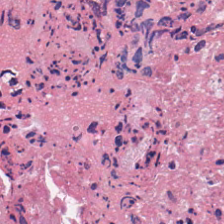H&E-stained tissue section. FFPE tissue section — Cellular debris.
